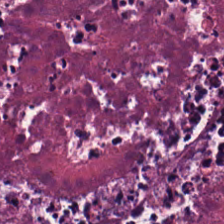20× equivalent magnification; 224×224 px patch; hematoxylin-and-eosin stained section.
Q: What does this patch show?
A: Debris.
